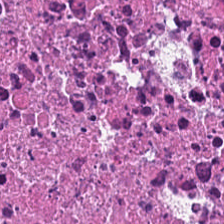FFPE tissue section · H&E-stained tissue section · 224×224 pixel tile — {"tissue_type": "debris"}
